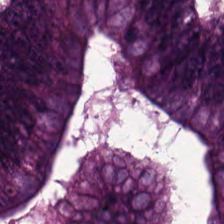H&E; 224×224 px tile; 0.5 µm/px — The predominant tissue is tumor epithelium.
